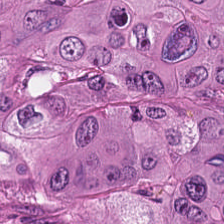Hematoxylin and eosin. Q: What tissue is shown?
A: The field shows malignant epithelium.
